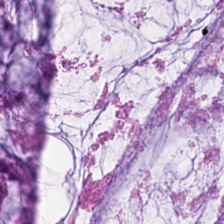Hematoxylin and eosin. The predominant tissue is mucus.
